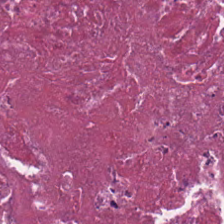0.5 microns per pixel; hematoxylin and eosin.
Showing cellular debris.
